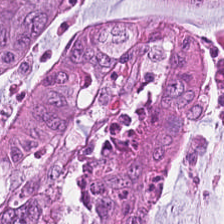H&E; 0.5 µm/px. Tissue class = malignant epithelium.
